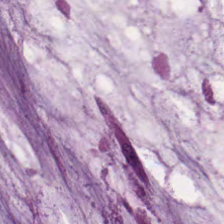0.5 microns per pixel · H&E-stained tissue section. Q: What type of tissue is this?
A: This is mucus.
